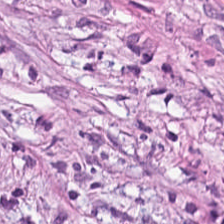H&E; brightfield.
Tissue = desmoplastic stroma.
